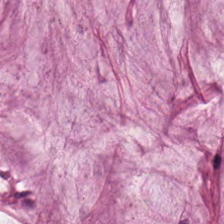FFPE. 224×224 pixel tile. H&E stain.
The tissue here is mucin.
